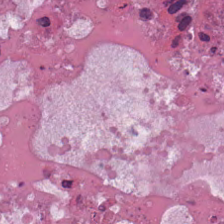Hematoxylin-and-eosin section: cellular debris.
